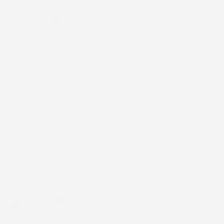H&E-stained tissue section · 224×224 px tile — Field content — no tissue.
